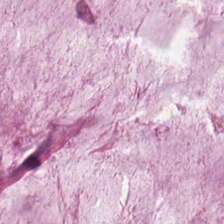Stain: H&E stain.
Tissue: mucus.
